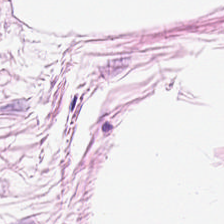Tissue — adipocytes.
